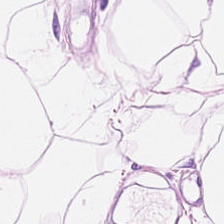Hematoxylin and eosin.
Classification: adipocytes.
